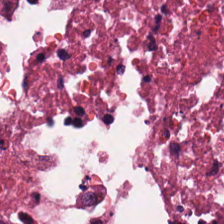This patch shows necrotic debris.
